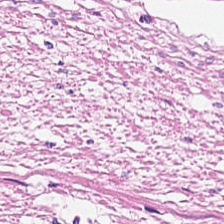Hematoxylin and eosin; FFPE. {"tissue_type": "smooth-muscle tissue"}
